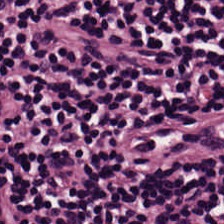H&E-stained tissue section. 20× equivalent magnification. Brightfield microscopy.
Tissue = lymphocytic infiltrate.
